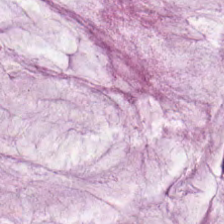224×224 px tile · H&E stain. Predominant tissue: extracellular mucin.
